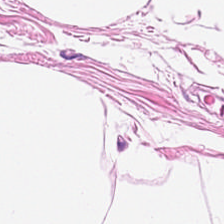H&E stain.
Adipose.
